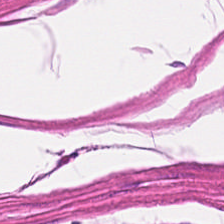The predominant tissue is smooth muscle.
